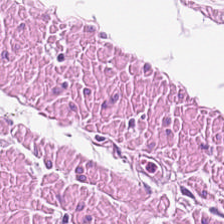Stain: H&E.
Tissue type: smooth muscle.
